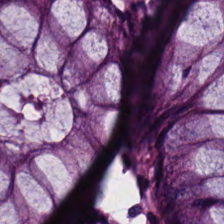H&E — The tissue here is normal colonic mucosa.
